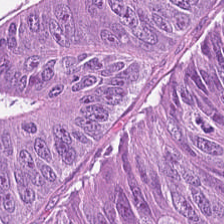224×224 px patch; hematoxylin and eosin; 0.5 µm per pixel. Impression — malignant epithelium.
